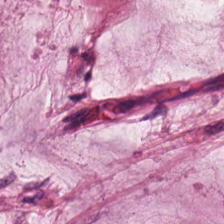WSI patch · formalin-fixed paraffin-embedded section · H&E stain. The tissue is mucin.
